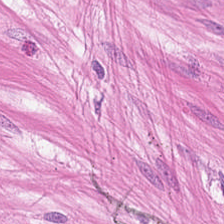Brightfield microscopy · H&E stain · 20× equivalent magnification. {"tissue_type": "smooth muscle"}
